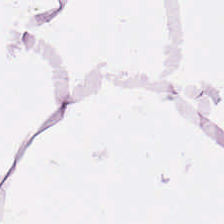Showing fat tissue.
